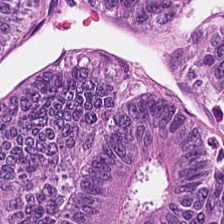224×224 px tile · H&E stain. Q: What is the predominant tissue type?
A: This is adenocarcinoma.
